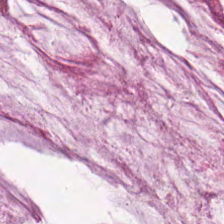Hematoxylin and eosin. Classification — extracellular mucin.
